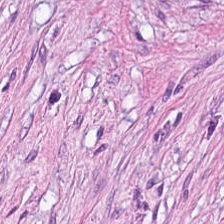FFPE tissue section. H&E stain.
{"tissue_type": "tumor-associated stroma"}
